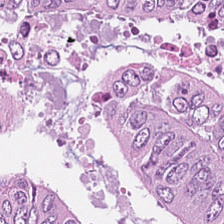H&E; FFPE. Finding → tumor epithelium.
